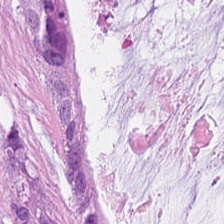Hematoxylin-and-eosin stained section; 0.5 µm per pixel. Extracellular mucin.
